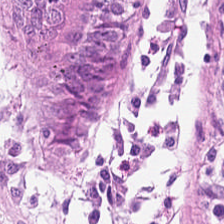Stain: H&E stain.
Tissue class: normal colon mucosa.
